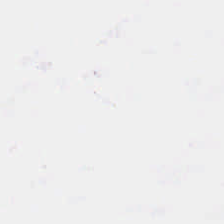Classification = empty background.
